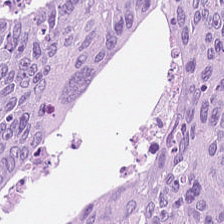Tumor epithelium.
